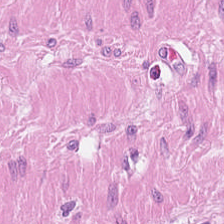FFPE tissue section · H&E.
Q: What does this patch show?
A: The field shows smooth-muscle tissue.
